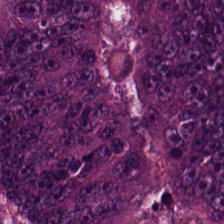224×224 pixel tile. H&E stain. The predominant tissue is adenocarcinoma.
